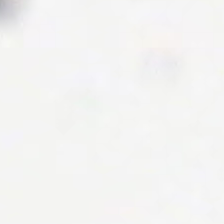Hematoxylin and eosin — Q: What is shown here?
A: It is no tissue.
